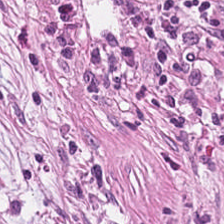0.5 µm per pixel; H&E stain; whole-slide-image patch — Tissue = tumor stroma.
